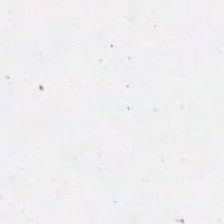FFPE tissue section. Hematoxylin and eosin. 0.5 µm per pixel. Q: What does this patch show?
A: This is background.
